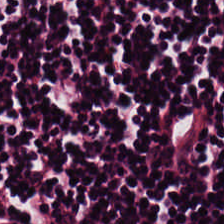224×224 px patch; H&E — Showing lymphocytes.
